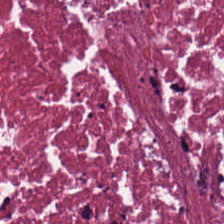H&E. Predominant tissue = debris.
